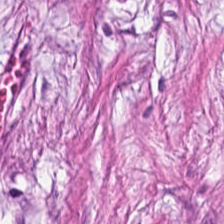Brightfield. H&E stain. 224×224 px patch — Q: Classify this patch.
A: Desmoplastic stroma.
